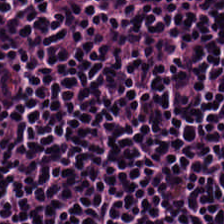Hematoxylin-and-eosin stained section — Predominantly lymphocyte aggregate.
